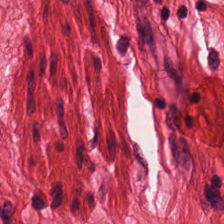Hematoxylin-and-eosin stained section · FFPE — This field is smooth-muscle tissue.
